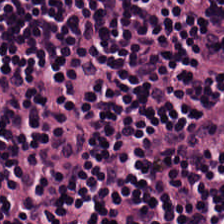{"tissue_type": "lymphocytes"}
